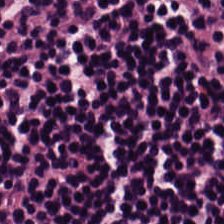Stain: H&E.
Classification: lymphocytes.
